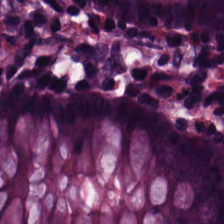Q: What is the predominant tissue type?
A: The field shows normal colon mucosa.
